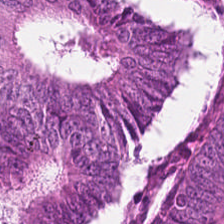H&E patch showing adenocarcinoma.
